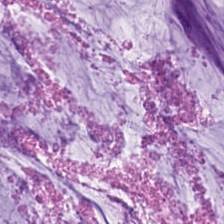Hematoxylin-and-eosin stained section. Predominant tissue: mucus.
